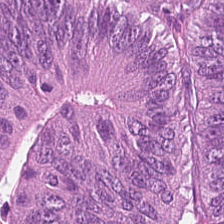Stain: hematoxylin-and-eosin stained section.
Resolution: 0.5 microns per pixel.
Acquisition: brightfield.
Classification: adenocarcinoma.
